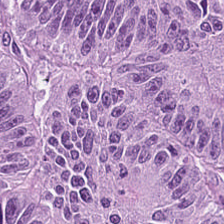FFPE; H&E-stained tissue section. This field is colorectal adenocarcinoma.
